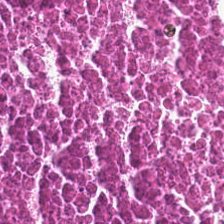Impression — debris.
